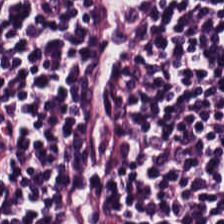WSI patch. FFPE. H&E-stained tissue section.
The tissue is lymphocyte aggregate.
